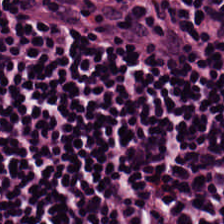Stain: H&E.
Tile size: 224×224 px tile.
Predominant tissue: lymphoid infiltrate.
